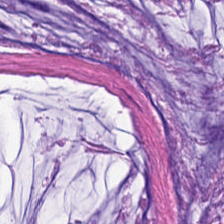Hematoxylin and eosin.
This field is mucus.
